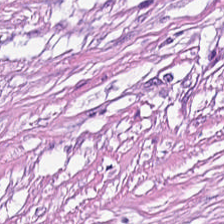Q: Classify this patch.
A: Tumor-associated stroma.
